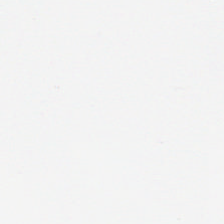Impression → background (no tissue).
